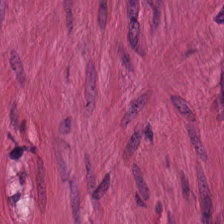Stain: hematoxylin-and-eosin stained section.
Acquisition: whole-slide-image patch.
Resolution: 0.5 µm per pixel.
Tissue: smooth muscle.
